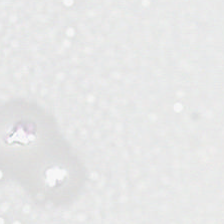Background — no tissue in this field.
